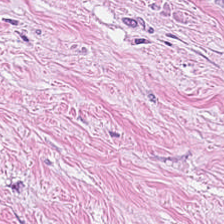FFPE tissue section. 224×224 px tile. H&E stain.
This field is tumor-associated stroma.
